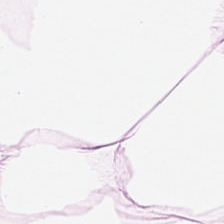Whole-slide-image patch; hematoxylin-and-eosin stained section. The tissue here is adipose.
